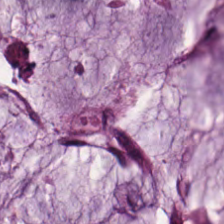H&E stain. This field is mucin.
